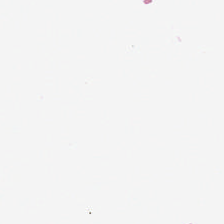Classification = no tissue.
